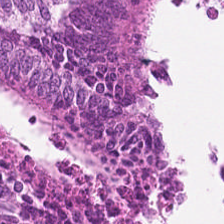Hematoxylin-and-eosin stained section; whole-slide-image patch — Colorectal adenocarcinoma epithelium.
